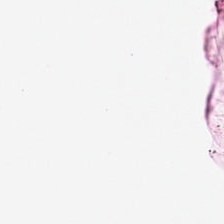Hematoxylin and eosin.
Content — background.
